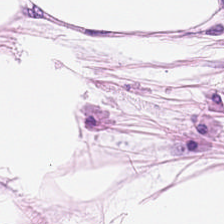FFPE. WSI patch. H&E-stained tissue section — Classification = adipose tissue.
